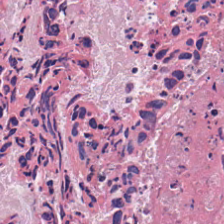H&E-stained tissue section — The tissue type is debris.
